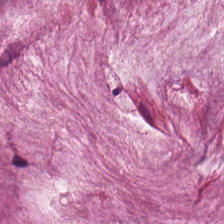H&E-stained tissue section — {"tissue_type": "extracellular mucin"}
